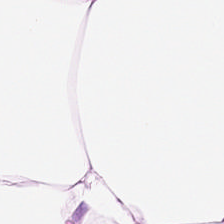Showing adipose tissue.
